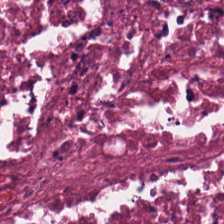0.5 µm/px; H&E-stained tissue section; 224×224 px patch.
Q: What type of tissue is this?
A: Cellular debris.
